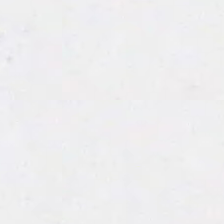Hematoxylin-and-eosin stained section — The content is empty background.
